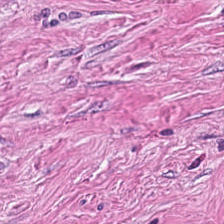Hematoxylin-and-eosin stained section; brightfield — Predominantly tumor-associated stroma.
